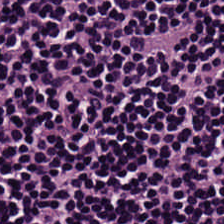WSI patch · hematoxylin and eosin — Predominant tissue: lymphocyte aggregate.
